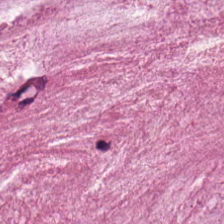Q: What is shown in this field?
A: It is extracellular mucin.
